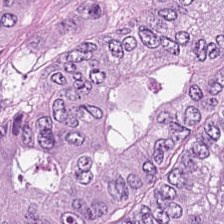H&E stain.
Malignant epithelium.
